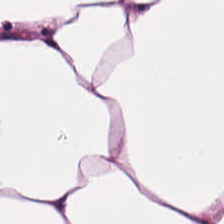Stain: H&E-stained tissue section.
Tile size: 224×224 px tile.
Tissue class: adipocytes.
